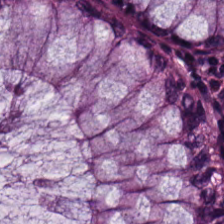H&E stain. Non-neoplastic colon mucosa.
